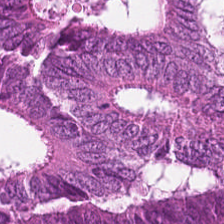Stain: hematoxylin-and-eosin stained section.
Tissue class: malignant epithelium.
